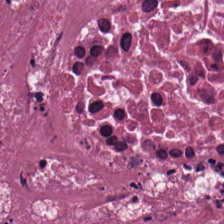Hematoxylin-and-eosin stained section. This field is cellular debris.
